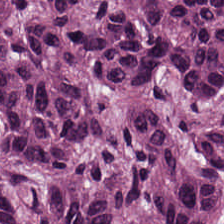Whole-slide-image patch · hematoxylin and eosin.
Histology → malignant epithelium.
